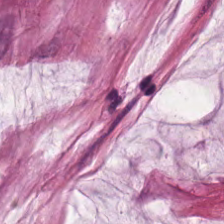Formalin-fixed paraffin-embedded section · hematoxylin-and-eosin stained section. This patch shows mucin.
